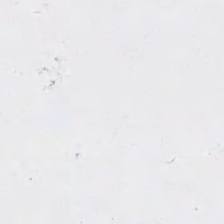Stain: H&E-stained tissue section.
Preparation: formalin-fixed paraffin-embedded section.
Acquisition: brightfield microscopy.
Classification: background (no tissue).
